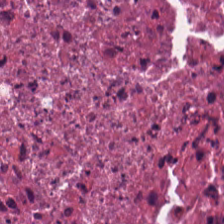Q: What is shown in this field?
A: It is debris.
